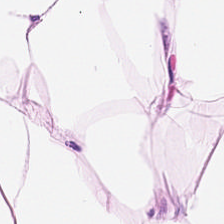WSI patch. Formalin-fixed paraffin-embedded section. Hematoxylin and eosin — Predominant tissue: fat tissue.
